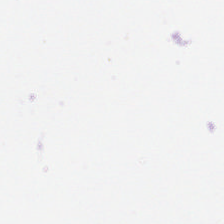Hematoxylin-and-eosin stained section; FFPE. Histology → background.
